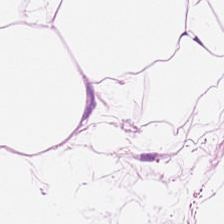Stain: hematoxylin and eosin.
Tissue: adipocytes.
